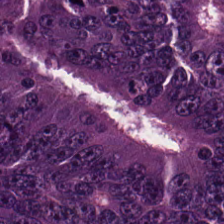H&E-stained tissue section. Predominantly colorectal adenocarcinoma epithelium.
